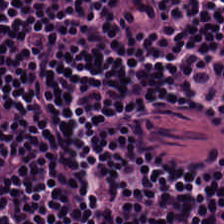Hematoxylin-and-eosin stained section. FFPE tissue section.
Q: What is shown here?
A: It is lymphocytic infiltrate.
